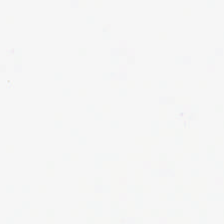H&E-stained tissue section.
This field is background (no tissue).
